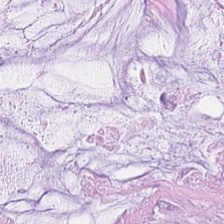0.5 µm/px. H&E stain. Whole-slide-image patch.
This patch shows extracellular mucin.
